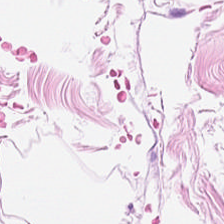Stain: H&E-stained tissue section.
Classification: adipocytes.
